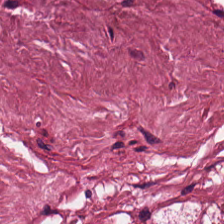Hematoxylin and eosin. 224×224 pixel tile. 20× equivalent magnification. Predominant tissue: tumor-associated stroma.
